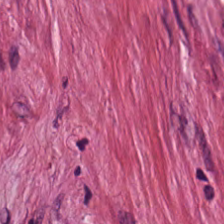H&E; 224×224 pixel tile; 0.5 µm per pixel — This patch shows cancer-associated stroma.
